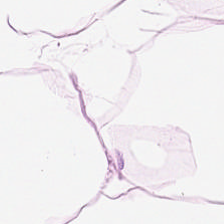Stain: H&E stain.
Tissue class: adipocytes.
